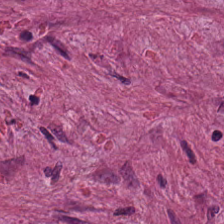Tissue class: tumor stroma.
